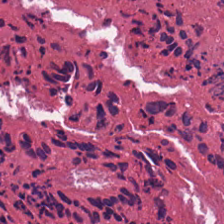H&E-stained tissue section — Tissue class: necrotic debris.
